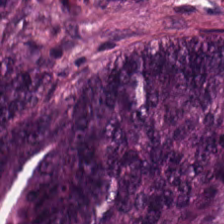FFPE · 0.5 µm/px · hematoxylin-and-eosin stained section.
Tissue class: colorectal adenocarcinoma.
